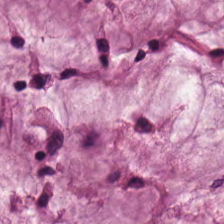Hematoxylin-and-eosin stained section · 224×224 px patch — The classification is mucin.
